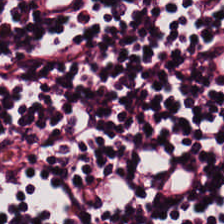Whole-slide-image patch · H&E stain — Q: Classify this patch.
A: Lymphoid infiltrate.
